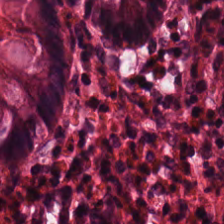Showing non-neoplastic colon mucosa.
